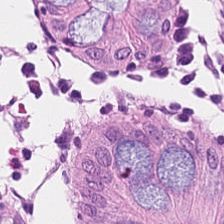Impression — benign colonic mucosa.
